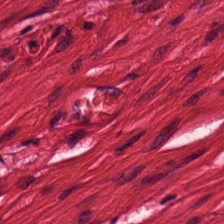H&E · brightfield. The predominant tissue is smooth muscle.
